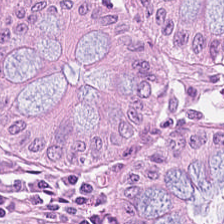Hematoxylin-and-eosin section: non-neoplastic colon mucosa.
